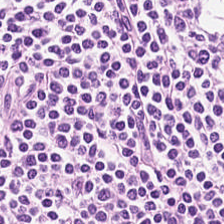Hematoxylin and eosin — Predominant tissue = lymphocytic infiltrate.
